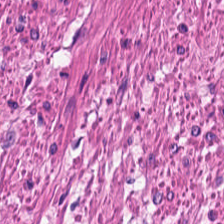Brightfield. Hematoxylin and eosin. 0.5 µm per pixel. The predominant tissue is muscularis.
